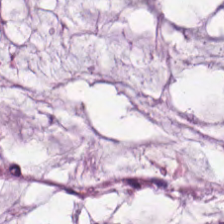H&E — extracellular mucin.
